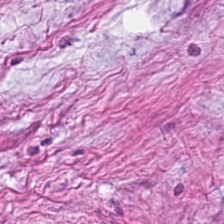Stain: H&E stain.
Resolution: 0.5 microns per pixel.
Tissue type: tumor-associated stroma.
